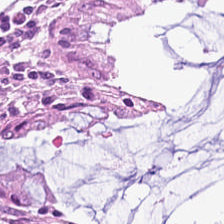Tissue: normal colonic mucosa.
